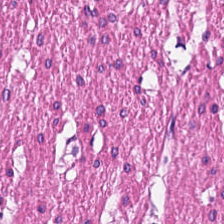H&E. 224×224 px tile.
Showing smooth muscle.
